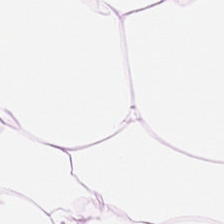H&E-stained tissue section — The predominant tissue is adipocytes.
